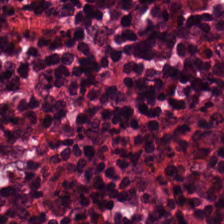224×224 px patch · H&E — This field is benign colonic mucosa.
